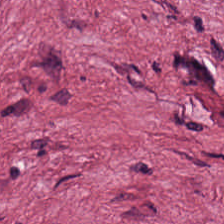Formalin-fixed paraffin-embedded section; H&E. The tissue is desmoplastic stroma.
